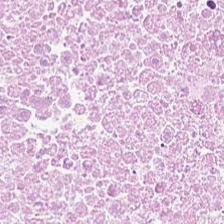Histology → debris.
